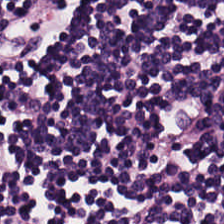Stain: H&E stain.
Classification: lymphoid infiltrate.
